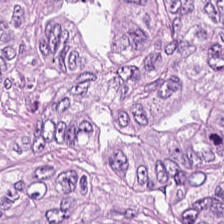H&E-stained tissue section — Classification — adenocarcinoma.
